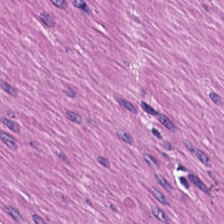Hematoxylin-and-eosin stained section — The predominant tissue is smooth muscle.
